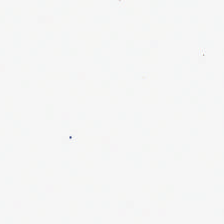Stain: hematoxylin and eosin.
Classification: background (no tissue).
